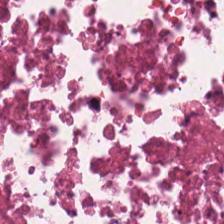Predominant tissue — debris.
